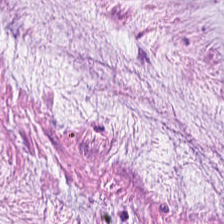Brightfield · hematoxylin-and-eosin stained section. Showing mucus.
